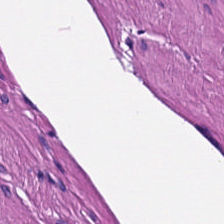H&E-stained tissue section.
Q: What is the predominant tissue type?
A: It is smooth-muscle tissue.
